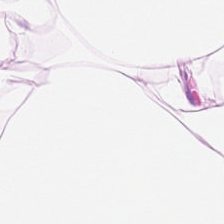Predominant tissue — adipocytes.
